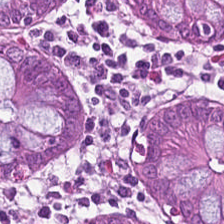The tissue is benign colonic mucosa.
